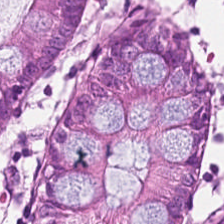FFPE; H&E stain; 0.5 µm per pixel. Classification = normal colonic mucosa.
